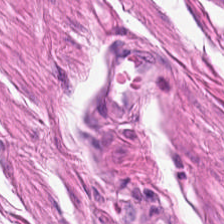H&E-stained tissue section. Muscularis.
